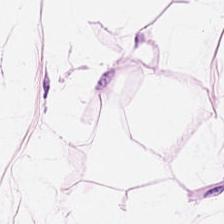Predominantly adipose.
